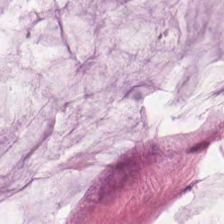Mucus.
